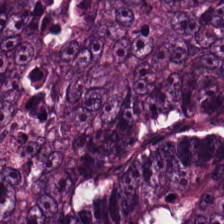Tissue class: colorectal adenocarcinoma.
